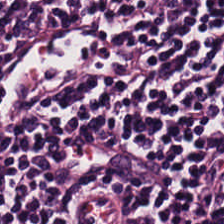H&E-stained tissue section.
Tissue class: lymphoid infiltrate.
